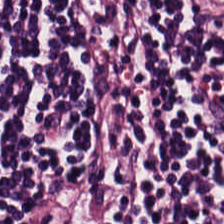Whole-slide-image patch; H&E stain — The predominant tissue is lymphocytes.
